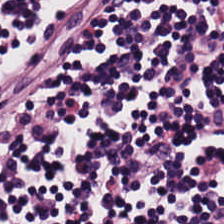0.5 µm/px; H&E stain — Predominant tissue = lymphocyte aggregate.
